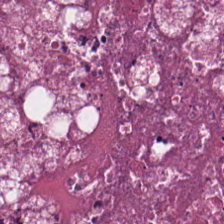Whole-slide-image patch. Hematoxylin-and-eosin stained section. {"tissue_type": "debris"}
